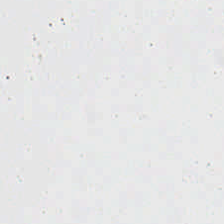H&E. Q: What is shown in this field?
A: The field shows no tissue.
